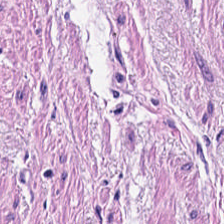Hematoxylin-and-eosin stained section.
Tissue type = smooth-muscle tissue.
